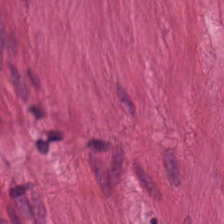H&E-stained tissue section. 0.5 µm/px. FFPE tissue section. Q: Identify the tissue.
A: Muscularis.
